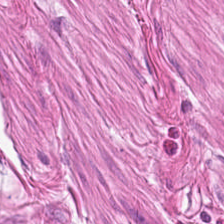H&E.
Predominantly smooth muscle.
